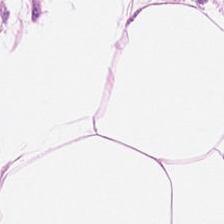Hematoxylin and eosin.
Tissue class — adipose tissue.
